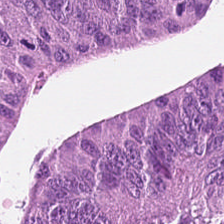Showing tumor epithelium.
